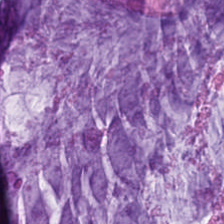H&E.
Showing extracellular mucin.
